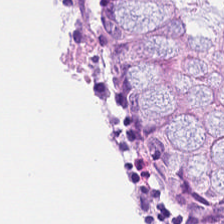0.5 µm/px; H&E; WSI patch — Q: What does this patch show?
A: The field shows non-neoplastic colon mucosa.
